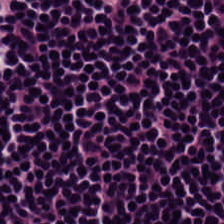Stain: hematoxylin and eosin.
Preparation: FFPE.
Classification: lymphocyte aggregate.
